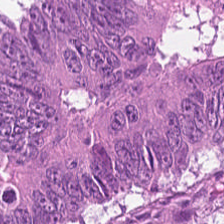Hematoxylin-and-eosin stained section.
The tissue here is malignant epithelium.
